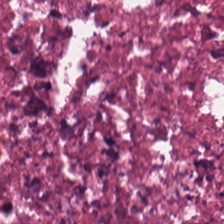WSI patch · H&E-stained tissue section. This field is necrotic debris.
